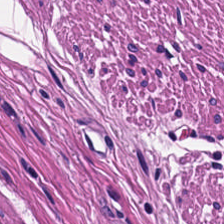Hematoxylin-and-eosin stained section · 224×224 px tile.
The tissue is smooth muscle.
